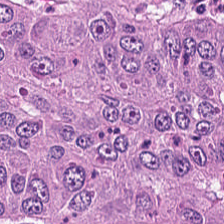H&E — Tissue type — colorectal adenocarcinoma epithelium.
